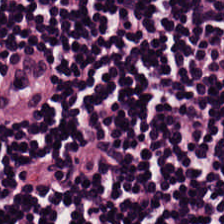This field is lymphocytic infiltrate.
